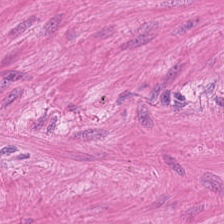Predominantly smooth muscle.
